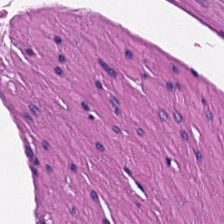224×224 px tile · WSI patch · H&E stain — Predominant tissue — muscularis.
